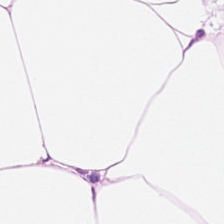Predominantly adipocytes.
